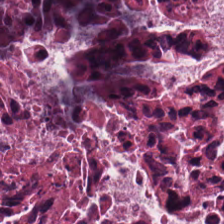H&E. 224×224 px patch. Finding → necrotic debris.
